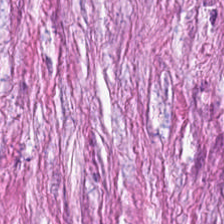H&E stain. This patch shows tumor stroma.
